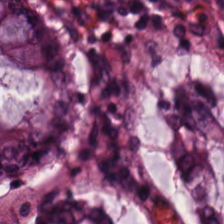H&E. {"tissue_type": "normal colon mucosa"}
